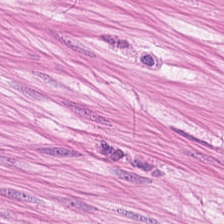224×224 px patch · H&E-stained tissue section — Finding — smooth muscle.
